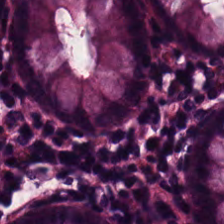Hematoxylin-and-eosin stained section. This patch shows non-neoplastic colon mucosa.
